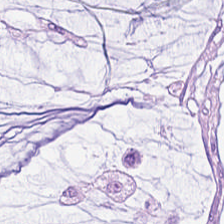H&E stain.
Histology — extracellular mucin.
